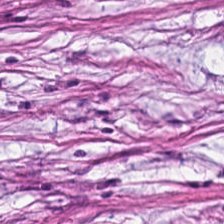20× equivalent magnification · H&E stain. Tissue type — tumor-associated stroma.
